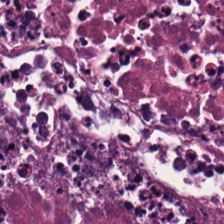Q: Classify this patch.
A: Debris.
